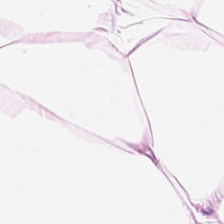0.5 µm/px · WSI patch · H&E stain. Showing fat tissue.
